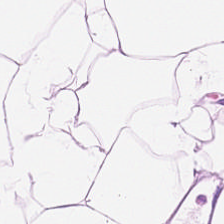Impression → adipose tissue.
